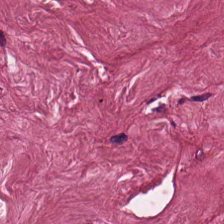Stain: hematoxylin and eosin.
Tissue type: tumor-associated stroma.
